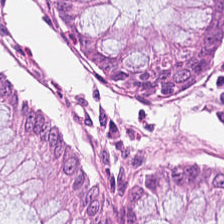H&E — non-neoplastic colon mucosa.
